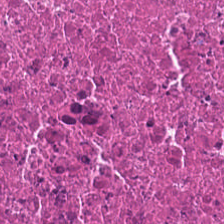FFPE · hematoxylin and eosin.
This field is necrotic debris.
